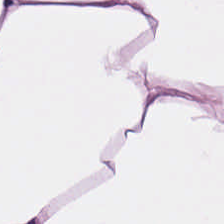H&E.
Tissue = adipose tissue.
